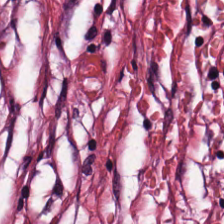H&E. The predominant tissue is tumor-associated stroma.
